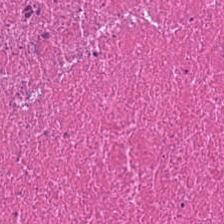Classification: cellular debris.
